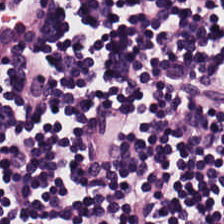Hematoxylin-and-eosin stained section. Q: What is shown in this field?
A: The field shows lymphoid infiltrate.
